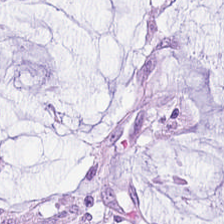H&E stain. The tissue here is mucus.
